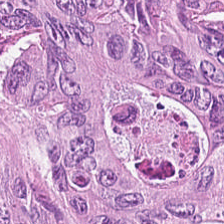0.5 microns per pixel · brightfield · H&E. Q: Identify the tissue.
A: This is tumor epithelium.
